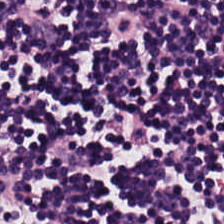Stain: H&E-stained tissue section.
Tile size: 224×224 px patch.
Tissue type: lymphoid infiltrate.
